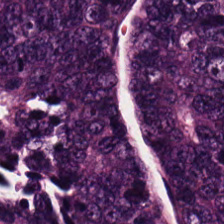FFPE tissue section; hematoxylin and eosin; 224×224 px patch. Q: Classify this patch.
A: Colorectal adenocarcinoma.
